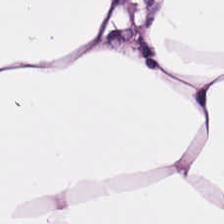Formalin-fixed paraffin-embedded section · brightfield microscopy · hematoxylin and eosin.
This field is adipose.
